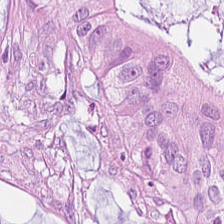H&E. Tissue class: colorectal adenocarcinoma.
